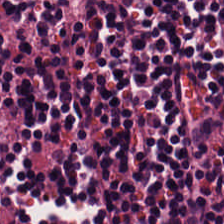H&E · formalin-fixed paraffin-embedded section. Q: What type of tissue is this?
A: The field shows lymphocytes.
